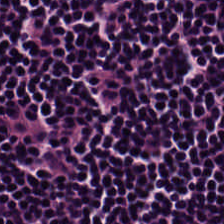H&E stain — Histology → lymphocytic infiltrate.
